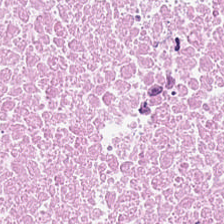Q: What tissue type is shown here?
A: This is necrotic debris.
